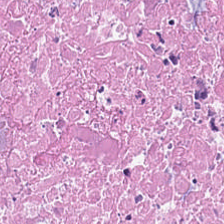H&E stain — This field is debris.
